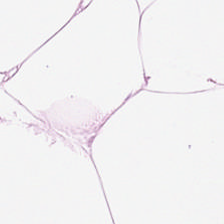Stain: H&E.
Tissue class: adipocytes.
